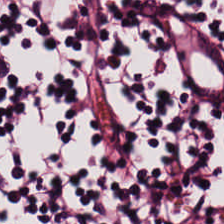Hematoxylin and eosin.
Impression — lymphocytes.
